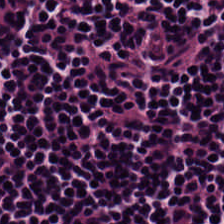FFPE. Brightfield microscopy. H&E — This field is lymphocyte aggregate.
